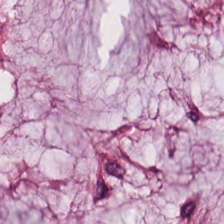FFPE · H&E-stained tissue section · 224×224 px patch — {"tissue_type": "extracellular mucin"}
